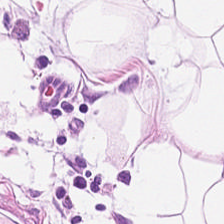20× equivalent magnification. Hematoxylin-and-eosin stained section. The tissue here is adipocytes.
